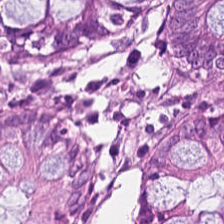0.5 µm per pixel. FFPE. Hematoxylin-and-eosin stained section.
{"tissue_type": "benign colonic mucosa"}
